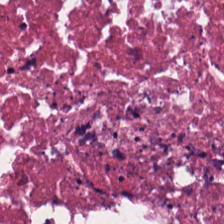H&E-stained tissue section; 224×224 px patch — Histology → debris.
